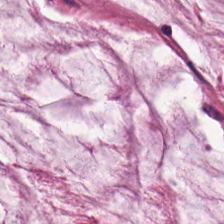The predominant tissue is extracellular mucin.
